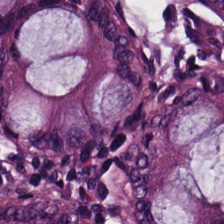Hematoxylin and eosin.
Finding → normal colonic mucosa.
